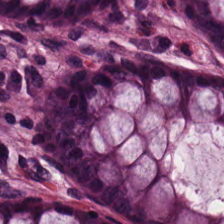Tissue class: normal colonic mucosa.
